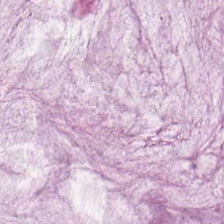{"tissue_type": "extracellular mucin"}
